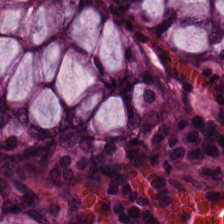Brightfield. 0.5 µm/px. H&E stain. Predominantly normal colonic mucosa.
